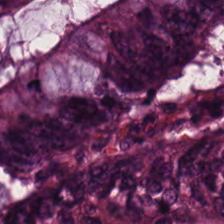WSI patch; hematoxylin-and-eosin stained section.
This patch shows colorectal adenocarcinoma.
